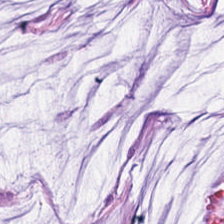H&E-stained tissue section.
The tissue here is mucin.
